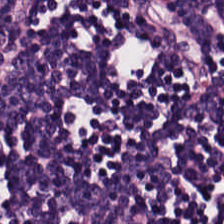The tissue is lymphocyte aggregate.
